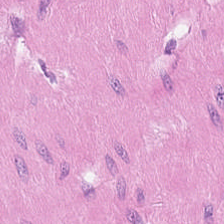H&E-stained tissue section — This patch shows smooth-muscle tissue.
